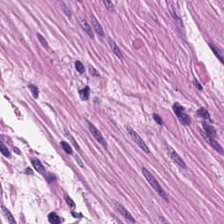Hematoxylin and eosin — This patch shows smooth-muscle tissue.
